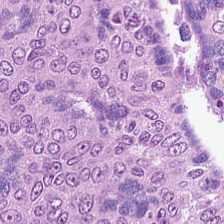H&E stain. Q: What tissue type is shown here?
A: Malignant epithelium.
